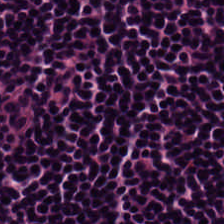H&E-stained tissue section.
The predominant tissue is lymphocyte aggregate.
